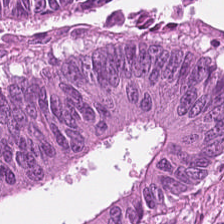H&E-stained tissue section · whole-slide-image patch. Tissue — adenocarcinoma.
